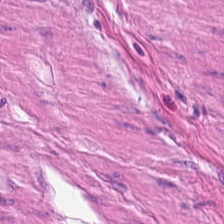FFPE tissue section. Hematoxylin and eosin.
The predominant tissue is smooth muscle.
